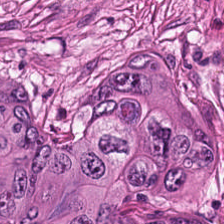Histology → adenocarcinoma.
